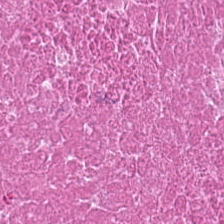H&E-stained tissue section — The predominant tissue is necrotic debris.
